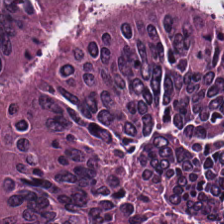Tissue: malignant epithelium.
